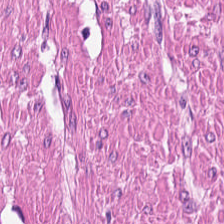Q: Classify this patch.
A: Muscularis.
